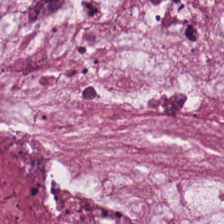Predominant tissue: mucin.
